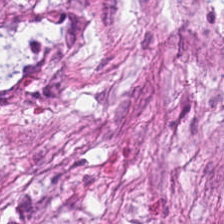0.5 microns per pixel. 224×224 pixel tile. Hematoxylin and eosin.
Classification — tumor-associated stroma.
